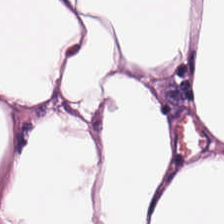H&E; WSI patch.
Predominantly adipose.
